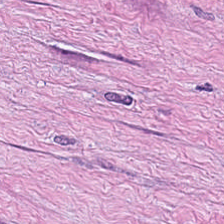0.5 µm per pixel · H&E.
Classification — cancer-associated stroma.
